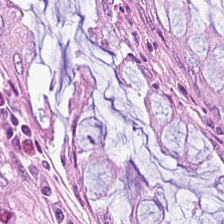H&E stain. Q: What is shown here?
A: This is normal colon mucosa.
